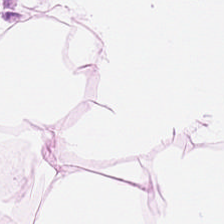H&E-stained tissue section. Whole-slide-image patch. Predominantly fat tissue.
